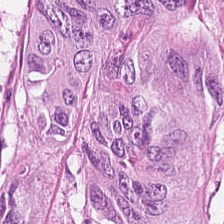Tissue type: tumor epithelium.
